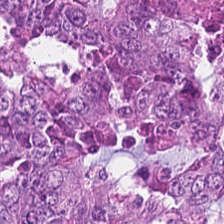H&E stain. The predominant tissue is colorectal adenocarcinoma.
